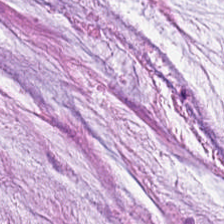H&E stain; 224×224 px patch; brightfield.
Predominant tissue = mucus.
